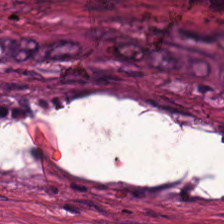WSI patch · H&E-stained tissue section.
Tissue type — cancer-associated stroma.
